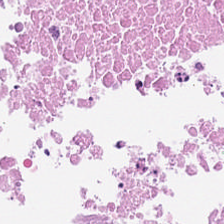0.5 µm per pixel. H&E stain.
The predominant tissue is necrotic debris.
